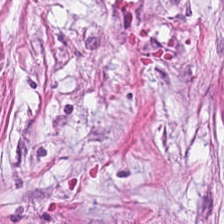Stain: H&E-stained tissue section.
Tile size: 224×224 px patch.
Resolution: 0.5 µm/px.
Predominant tissue: desmoplastic stroma.
